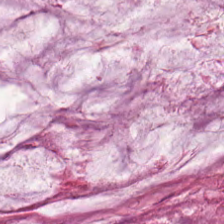Histology → mucus.
